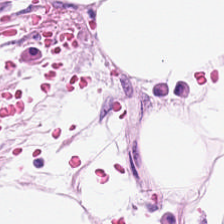0.5 µm/px. H&E stain. 224×224 pixel tile — Showing adipose.
